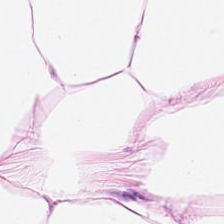This field is adipose.
